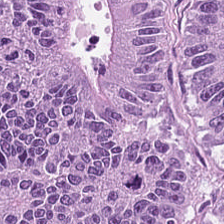Stain: H&E stain.
Tissue class: adenocarcinoma.
